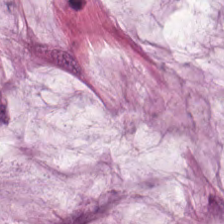The tissue type is mucin.
